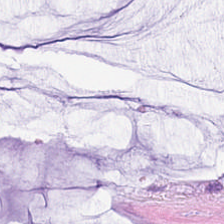Formalin-fixed paraffin-embedded section. H&E. Brightfield — Tissue class — extracellular mucin.
